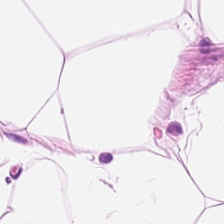H&E stain. Formalin-fixed paraffin-embedded section.
This field is fat tissue.
